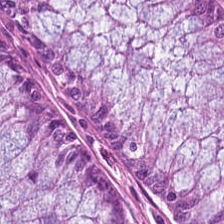H&E stain; formalin-fixed paraffin-embedded section — {"tissue_type": "normal colonic mucosa"}
